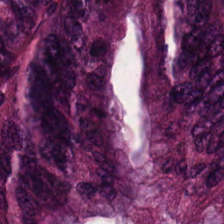Hematoxylin-and-eosin stained section. Brightfield — {"tissue_type": "colorectal adenocarcinoma epithelium"}
